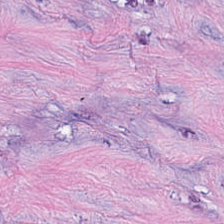The tissue type is desmoplastic stroma.
